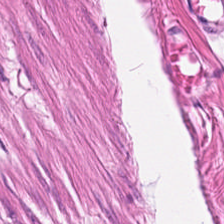Hematoxylin and eosin.
Predominantly smooth muscle.
